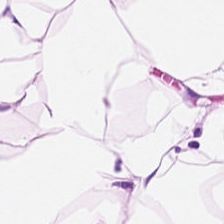Hematoxylin and eosin — Predominantly adipose tissue.
